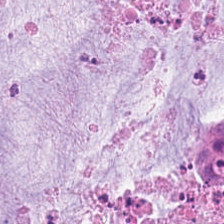H&E — mucin.
